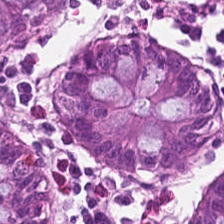H&E; 224×224 pixel tile.
Predominantly benign colonic mucosa.
